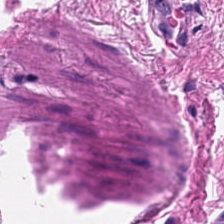H&E-stained tissue section.
Q: What tissue type is shown here?
A: It is smooth muscle.
